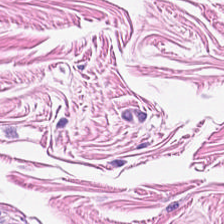H&E. Tissue — smooth muscle.
